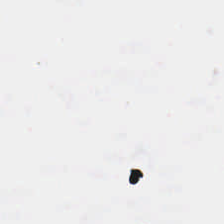Impression — no tissue.
